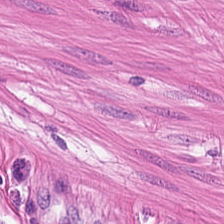Smooth muscle.
